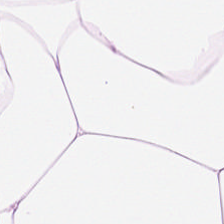Hematoxylin and eosin. 224×224 pixel tile. Adipose.
